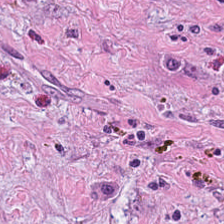Hematoxylin and eosin. Predominantly tumor stroma.
